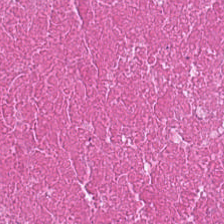{"tissue_type": "cellular debris"}
